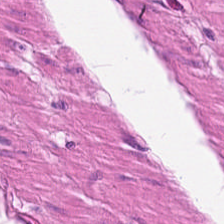Brightfield; 224×224 px patch; H&E-stained tissue section. {"tissue_type": "muscularis"}
